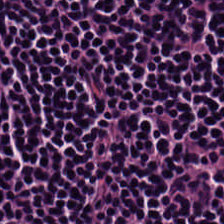H&E-stained tissue section — Histology → lymphocyte aggregate.
